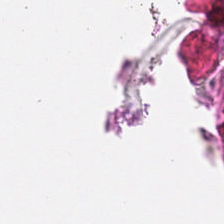Background.
